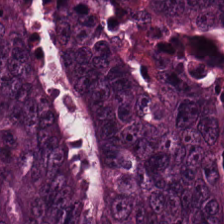H&E-stained tissue section — Q: What does this patch show?
A: The field shows colorectal adenocarcinoma.
